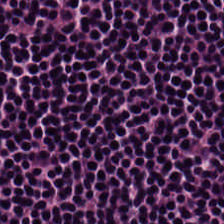H&E stain. FFPE tissue section. 224×224 px tile. The tissue here is lymphocyte aggregate.
